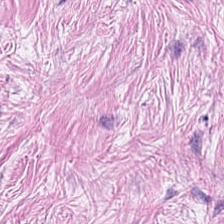H&E — desmoplastic stroma.
